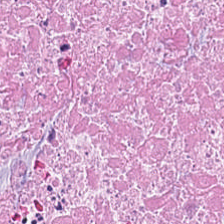Hematoxylin and eosin. 224×224 pixel tile. The tissue type is cellular debris.
